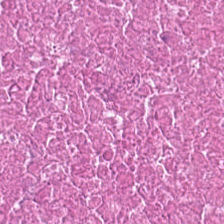Hematoxylin and eosin.
Histology → cellular debris.
